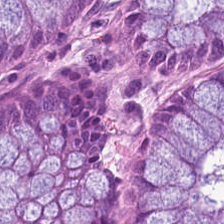H&E-stained tissue section; brightfield — Tissue type: normal colonic mucosa.
